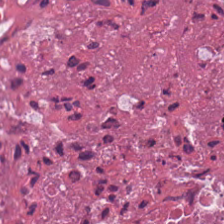Q: What is shown in this field?
A: The field shows debris.
